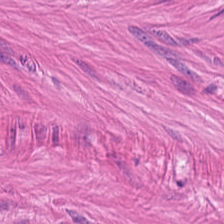0.5 µm per pixel; H&E stain. {"tissue_type": "muscularis"}
